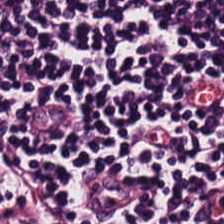Q: What is shown here?
A: This is lymphoid infiltrate.
